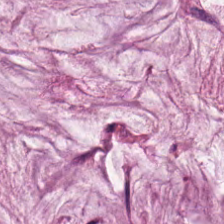Hematoxylin-and-eosin stained section. Showing mucus.
